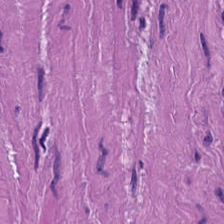The tissue class is muscularis.
